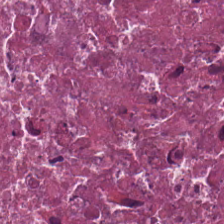Tissue type: necrotic debris.
